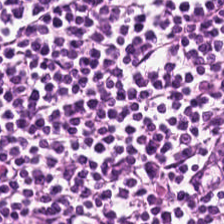Hematoxylin and eosin.
The tissue here is lymphocytic infiltrate.
